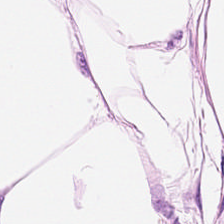Tissue class — fat tissue.
